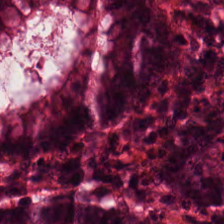Hematoxylin-and-eosin stained section. The tissue class is normal colon mucosa.
